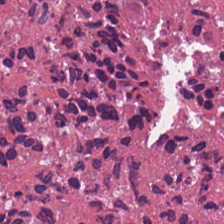H&E. The predominant tissue is cellular debris.
